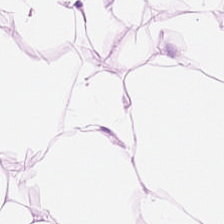H&E stain — The tissue class is fat tissue.
